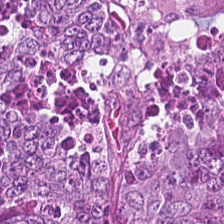Formalin-fixed paraffin-embedded section. Hematoxylin-and-eosin stained section.
The predominant tissue is colorectal adenocarcinoma epithelium.
